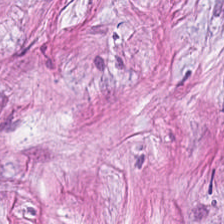H&E-stained tissue section — The tissue class is tumor stroma.
